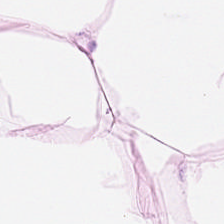H&E-stained tissue section. Brightfield.
Finding — adipocytes.
